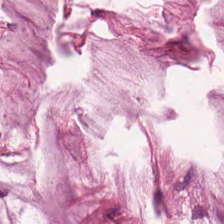WSI patch. H&E-stained tissue section — {"tissue_type": "mucin"}
